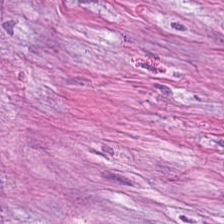Tissue class: tumor-associated stroma.
